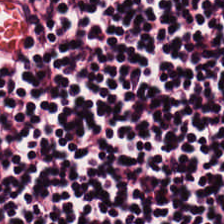Formalin-fixed paraffin-embedded section. Hematoxylin-and-eosin stained section. Q: Classify this patch.
A: This is lymphocytes.
